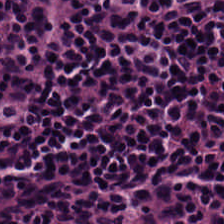H&E-stained tissue section — The predominant tissue is lymphocytic infiltrate.
